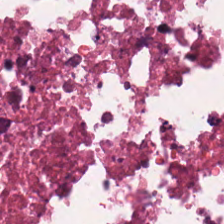224×224 px tile. 20× equivalent magnification. H&E-stained tissue section. The tissue here is necrotic debris.
